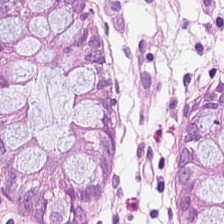H&E-stained section; the field shows normal colon mucosa.
